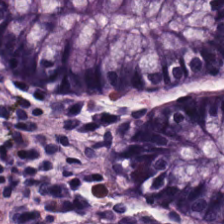H&E-stained tissue section.
Predominant tissue = benign colonic mucosa.
